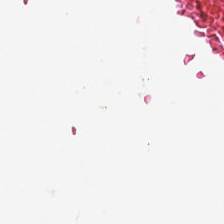0.5 µm/px · H&E. Q: What is shown here?
A: The field shows background (no tissue).
